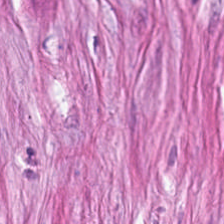Hematoxylin and eosin — Q: Classify this patch.
A: Desmoplastic stroma.
